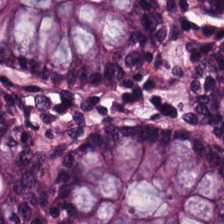H&E stain.
Q: What tissue type is shown here?
A: This is benign colonic mucosa.
